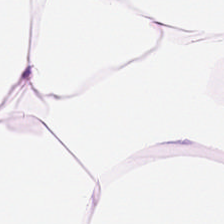FFPE. Hematoxylin-and-eosin stained section.
Adipocytes.
